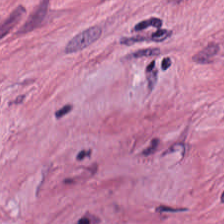0.5 microns per pixel. H&E stain. Impression — cancer-associated stroma.
